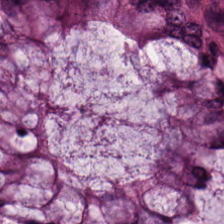Q: What is shown here?
A: This is normal colonic mucosa.
